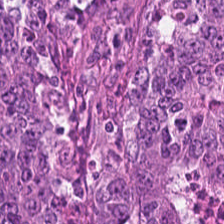Hematoxylin and eosin. Tissue = tumor epithelium.
